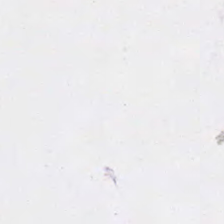Hematoxylin and eosin. Empty field — empty background.
